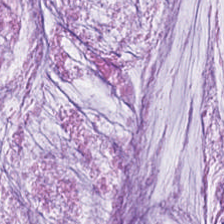H&E · 224×224 px patch.
Impression — mucin.
